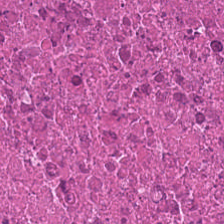Stain: H&E.
Tissue class: necrotic debris.
